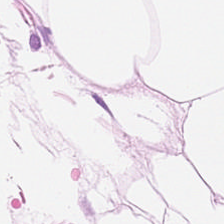Stain: H&E stain.
Tissue class: fat tissue.
